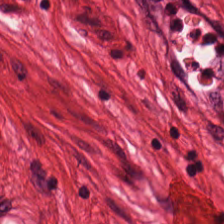Hematoxylin-and-eosin stained section · 224×224 px tile. Q: What does this patch show?
A: It is muscularis.
